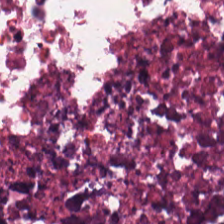Stain: hematoxylin-and-eosin stained section.
Acquisition: WSI patch.
Tissue: necrotic debris.
